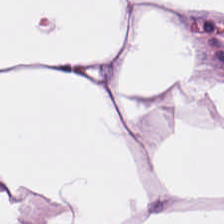H&E-stained tissue section. Showing fat tissue.
